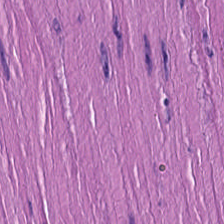Classification = muscularis.
